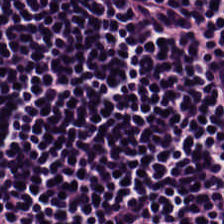Q: What tissue is shown?
A: It is lymphoid infiltrate.
